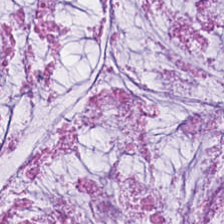Tissue: extracellular mucin.
